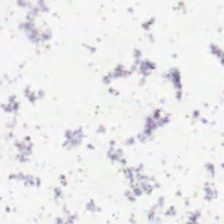This patch shows no tissue.
